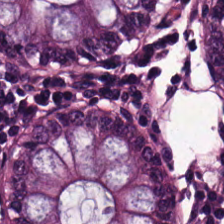H&E-stained tissue section. Classification — normal colon mucosa.
